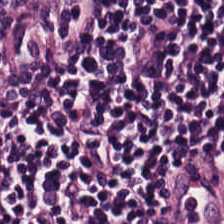Hematoxylin-and-eosin section: lymphocytic infiltrate.
